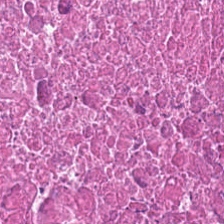H&E.
The predominant tissue is necrotic debris.
